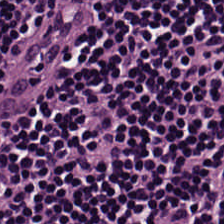The tissue is lymphoid infiltrate.
